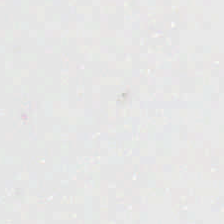{"content": "empty background"}
